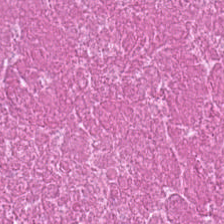Brightfield microscopy · H&E-stained tissue section · FFPE.
Cellular debris.
